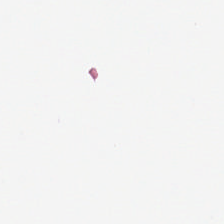Stain: hematoxylin and eosin.
Content: background (no tissue).
